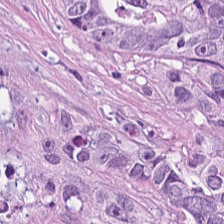Stain: hematoxylin-and-eosin stained section.
Predominant tissue: desmoplastic stroma.
